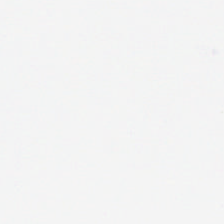Hematoxylin-and-eosin stained section.
Empty field — background (no tissue).
